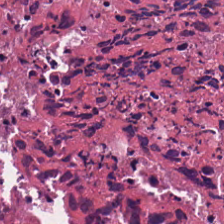Q: What is shown here?
A: This is necrotic debris.
